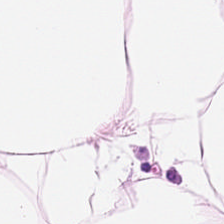Stain: H&E stain.
Tissue: adipose tissue.
